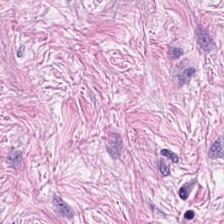Hematoxylin-and-eosin stained section; FFPE — Showing desmoplastic stroma.
